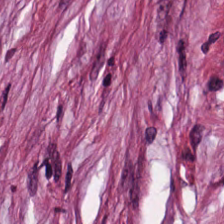H&E.
Histology — cancer-associated stroma.
